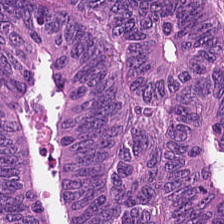WSI patch; hematoxylin-and-eosin stained section. Q: What does this patch show?
A: The field shows colorectal adenocarcinoma epithelium.
